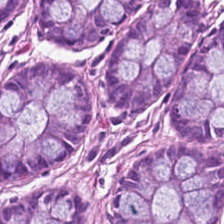Stain: H&E stain.
Resolution: 20× equivalent magnification.
Tile size: 224×224 pixel tile.
Tissue: benign colonic mucosa.
